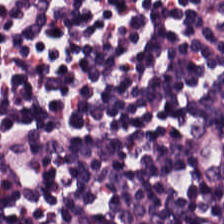Classification = lymphocyte aggregate.
